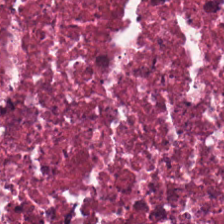H&E stain — The tissue here is cellular debris.
